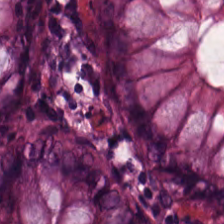Finding — normal colonic mucosa.
